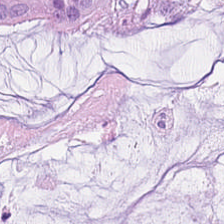H&E-stained tissue section. The tissue here is mucus.
